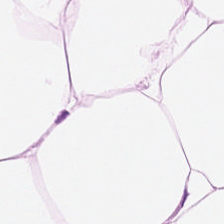H&E stain. Brightfield microscopy. {"tissue_type": "adipose tissue"}
